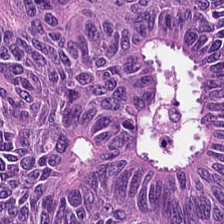Colorectal adenocarcinoma.
